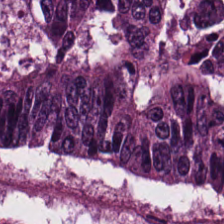Hematoxylin-and-eosin stained section · brightfield — Classification = colorectal adenocarcinoma epithelium.
